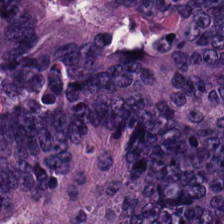Hematoxylin and eosin; 20× equivalent magnification.
Q: What tissue is shown?
A: It is colorectal adenocarcinoma epithelium.
